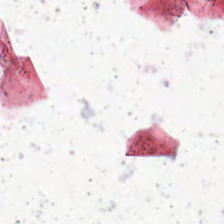H&E-stained tissue section; formalin-fixed paraffin-embedded section — Field content — background.
